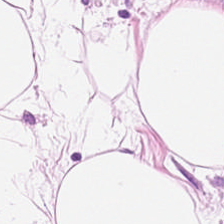Hematoxylin and eosin.
This patch shows adipose tissue.
